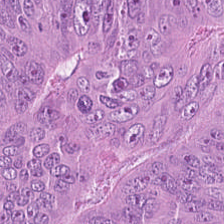This field is malignant epithelium.
